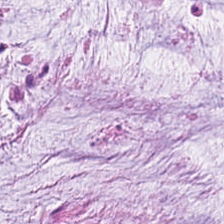Brightfield microscopy; hematoxylin and eosin; 0.5 µm/px. Mucin.
